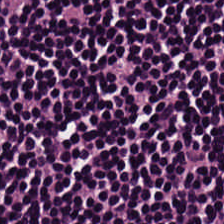Hematoxylin-and-eosin stained section. This patch shows lymphocytes.
